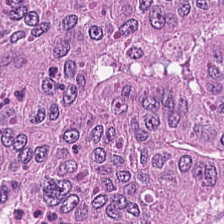H&E-stained tissue section. {"tissue_type": "malignant epithelium"}
